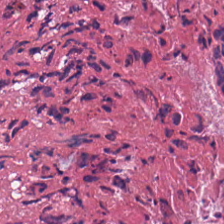H&E-stained tissue section — Histology → debris.
